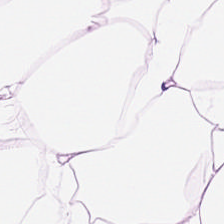H&E-stained tissue section · 224×224 pixel tile.
Predominant tissue: fat tissue.
